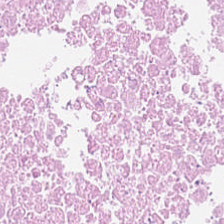H&E patch showing debris.
